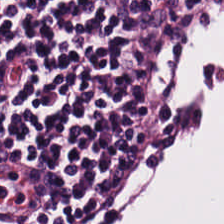Hematoxylin and eosin — This patch shows lymphoid infiltrate.
